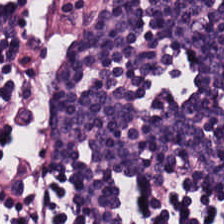FFPE tissue section; 20× equivalent magnification; hematoxylin and eosin — Predominant tissue — lymphoid infiltrate.
